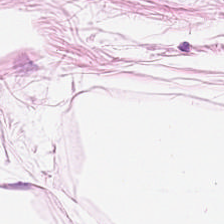The tissue is adipose tissue.
